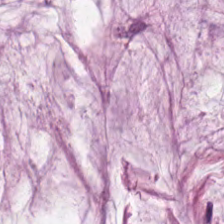H&E stain. Q: What is shown here?
A: This is extracellular mucin.
